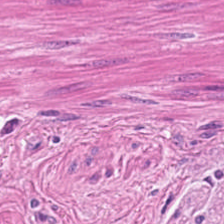Hematoxylin-and-eosin stained section — This field is muscularis.
